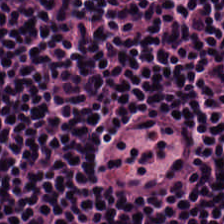Hematoxylin and eosin; 20× equivalent magnification; 224×224 px tile. {"tissue_type": "lymphoid infiltrate"}
